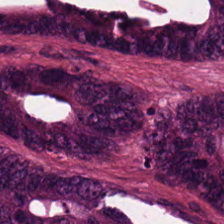Hematoxylin and eosin · FFPE tissue section · whole-slide-image patch. Q: What tissue type is shown here?
A: The field shows colorectal adenocarcinoma epithelium.
